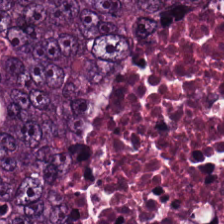Stain: H&E stain.
Tile size: 224×224 px patch.
Acquisition: whole-slide-image patch.
Tissue class: colorectal adenocarcinoma.
